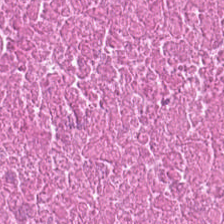Brightfield microscopy. Hematoxylin and eosin — Predominantly cellular debris.
